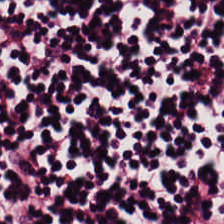Hematoxylin and eosin. WSI patch — Histology — lymphocytic infiltrate.
